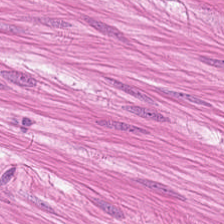Formalin-fixed paraffin-embedded section · brightfield · hematoxylin and eosin.
This field is smooth muscle.
